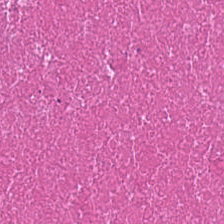224×224 px patch · hematoxylin and eosin — Tissue — debris.
